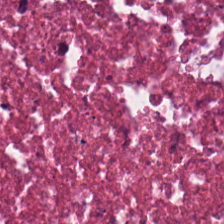H&E — This field is cellular debris.
